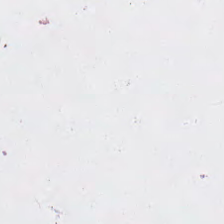0.5 microns per pixel; hematoxylin-and-eosin stained section — Q: Classify this patch.
A: It is background.
